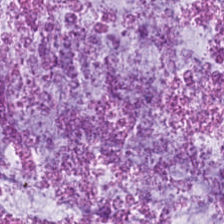Hematoxylin and eosin — The predominant tissue is extracellular mucin.
